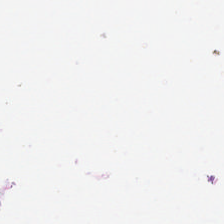224×224 px tile. 0.5 µm per pixel. Hematoxylin-and-eosin stained section — Q: What is shown here?
A: This is background (no tissue).
